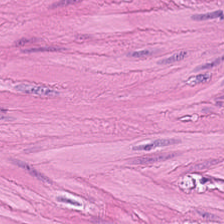H&E — Q: What is the predominant tissue type?
A: Smooth-muscle tissue.
